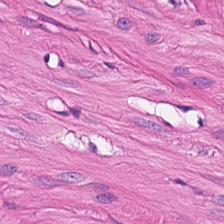H&E-stained tissue section — This field is smooth muscle.
